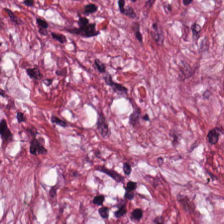Hematoxylin-and-eosin stained section. Formalin-fixed paraffin-embedded section.
{"tissue_type": "cancer-associated stroma"}
